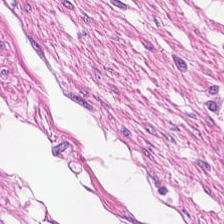H&E — {"tissue_type": "smooth-muscle tissue"}
